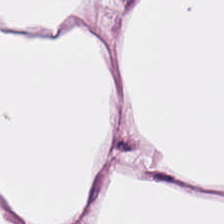Hematoxylin and eosin — Tissue class — adipose tissue.
